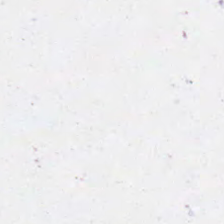H&E-stained tissue section · 0.5 microns per pixel.
Classification = no tissue.
